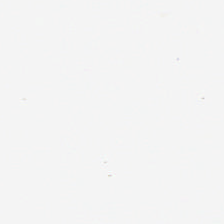Hematoxylin and eosin. 224×224 px tile — Background (no tissue).
